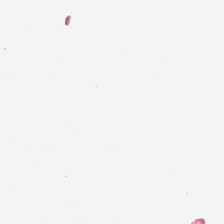Histology → empty background.
